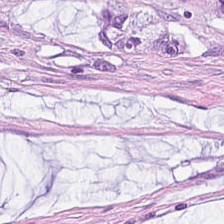224×224 px tile; H&E-stained tissue section; 0.5 µm/px. This patch shows extracellular mucin.
